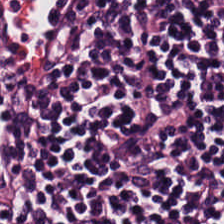Hematoxylin-and-eosin stained section. Brightfield microscopy — Showing lymphocyte aggregate.
